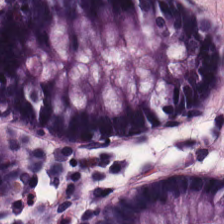224×224 pixel tile; FFPE tissue section; H&E-stained tissue section. Histology — non-neoplastic colon mucosa.
